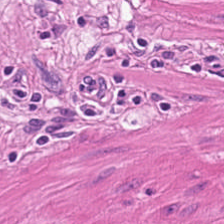Stain: hematoxylin and eosin.
Tile size: 224×224 pixel tile.
Preparation: FFPE.
Classification: smooth muscle.
